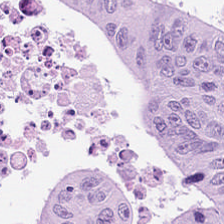Hematoxylin-and-eosin stained section.
Colorectal adenocarcinoma epithelium.
